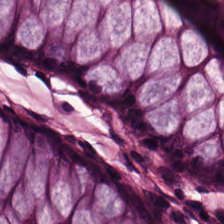224×224 pixel tile · 20× equivalent magnification · H&E-stained tissue section.
{"tissue_type": "normal colon mucosa"}
